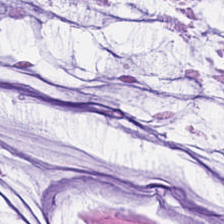Hematoxylin-and-eosin stained section.
The predominant tissue is extracellular mucin.
